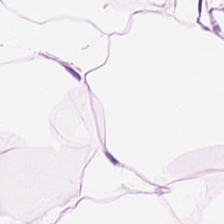Stain: hematoxylin-and-eosin stained section.
Preparation: FFPE tissue section.
Tissue type: adipose.
